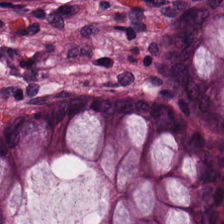The predominant tissue is normal colon mucosa.
